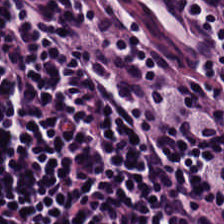224×224 px tile; H&E-stained tissue section — This field is lymphocytes.
